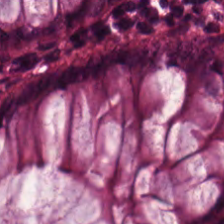Stain: hematoxylin-and-eosin stained section.
Classification: benign colonic mucosa.
